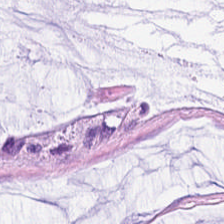Stain: H&E-stained tissue section.
Tissue type: extracellular mucin.
